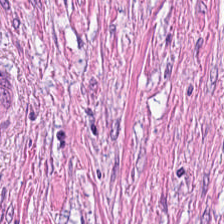224×224 px patch · hematoxylin and eosin · whole-slide-image patch. This field is tumor-associated stroma.
